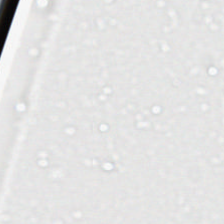H&E-stained tissue section. Background — no tissue in this field.
